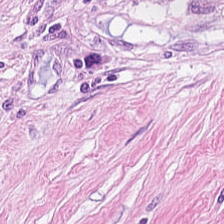H&E stain. Tissue type: desmoplastic stroma.
